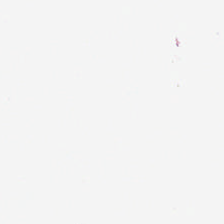224×224 pixel tile; H&E; brightfield.
The classification is empty background.
